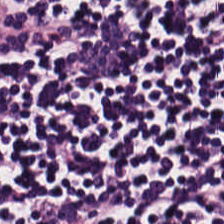Stain: hematoxylin-and-eosin stained section.
Resolution: 0.5 microns per pixel.
Tissue type: lymphocytes.
